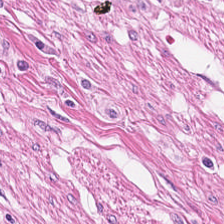H&E stain. Tissue: muscularis.
